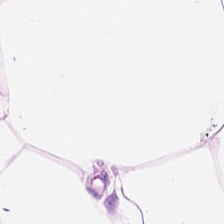H&E-stained tissue section; formalin-fixed paraffin-embedded section — Adipocytes.
